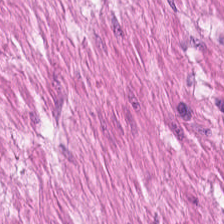Hematoxylin-and-eosin stained section. The tissue here is muscularis.
